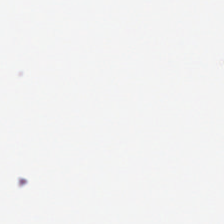Hematoxylin and eosin. Q: What is shown in this field?
A: No tissue.
